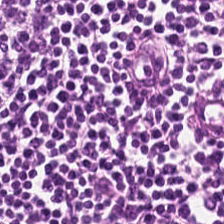Q: What type of tissue is this?
A: This is lymphocytes.
